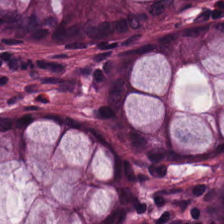H&E-stained tissue section. Tissue type = normal colonic mucosa.
